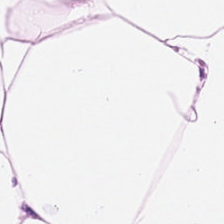H&E stain · 0.5 microns per pixel — This field is adipose tissue.
